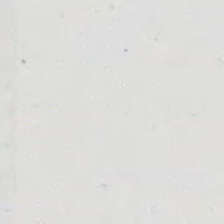H&E-stained tissue section.
Classification: background.
